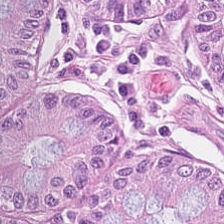Showing non-neoplastic colon mucosa.
